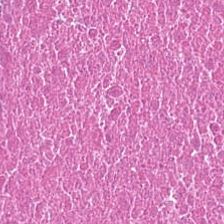Stain: H&E-stained tissue section.
Acquisition: WSI patch.
Tissue type: necrotic debris.
